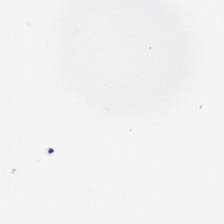Hematoxylin-and-eosin stained section; brightfield. Q: What does this patch show?
A: This is empty background.
